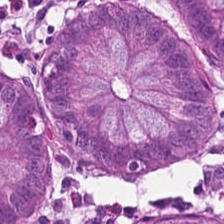Histology → non-neoplastic colon mucosa.
